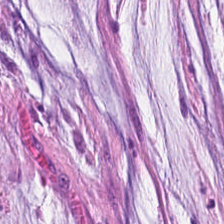H&E-stained tissue section — The predominant tissue is mucus.
